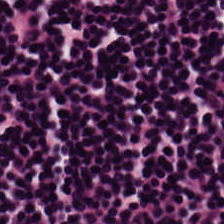Hematoxylin and eosin; formalin-fixed paraffin-embedded section — Tissue class — lymphocytes.
